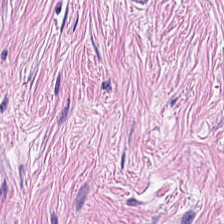Q: Identify the tissue.
A: Tumor stroma.
